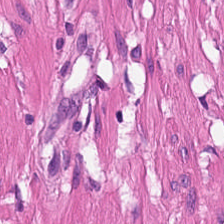H&E stain. Brightfield.
Tissue type = muscularis.
